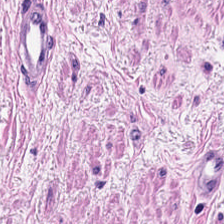Hematoxylin and eosin. Tissue — smooth muscle.
